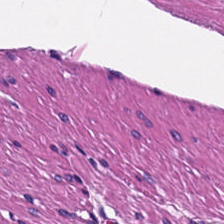Formalin-fixed paraffin-embedded section · H&E-stained tissue section — Tissue class — smooth muscle.
